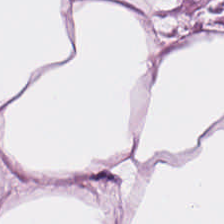Hematoxylin-and-eosin stained section.
Histology — adipose.
